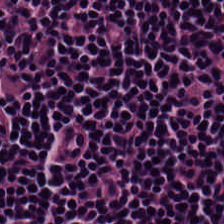Formalin-fixed paraffin-embedded section · H&E · 20× equivalent magnification.
Predominant tissue — lymphocytes.
